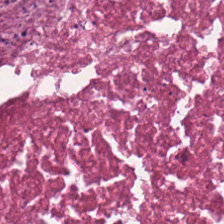Tissue class = debris.
